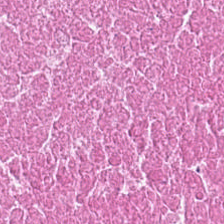Stain: hematoxylin and eosin.
Preparation: FFPE.
Tissue class: cellular debris.
